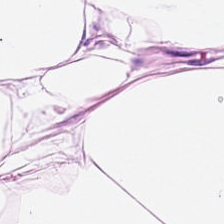224×224 pixel tile. Hematoxylin and eosin — Predominant tissue — adipocytes.
